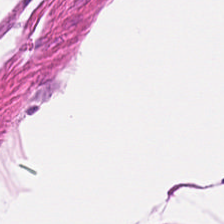224×224 px tile. 0.5 µm/px. Hematoxylin-and-eosin stained section — Smooth muscle.
